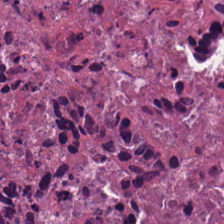H&E-stained tissue section — The tissue here is debris.
